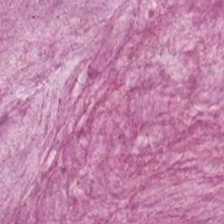H&E-stained tissue section — Tissue class — mucus.
